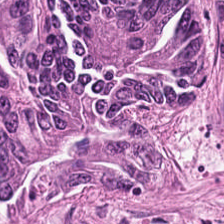Hematoxylin-and-eosin stained section.
The predominant tissue is adenocarcinoma.
